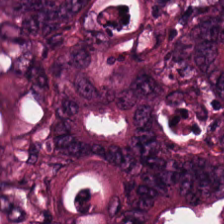Hematoxylin-and-eosin stained section.
The predominant tissue is adenocarcinoma.
